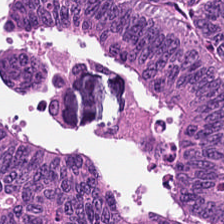Stain: H&E-stained tissue section.
Tissue type: malignant epithelium.
